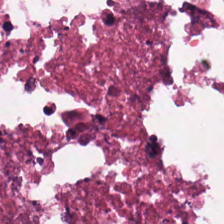Stain: hematoxylin-and-eosin stained section.
Resolution: 20× equivalent magnification.
Tile size: 224×224 pixel tile.
Predominant tissue: necrotic debris.
